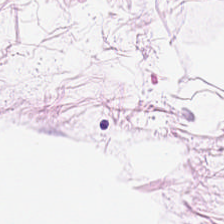Hematoxylin and eosin. Predominantly fat tissue.
